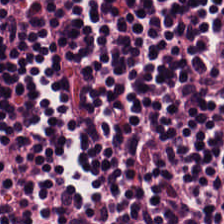Hematoxylin and eosin — Tissue: lymphocytes.
